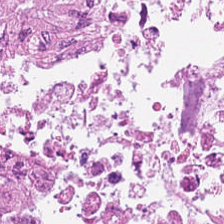Hematoxylin-and-eosin stained section.
Q: What does this patch show?
A: It is malignant epithelium.
